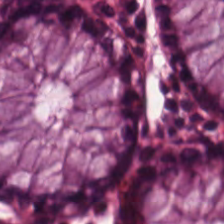Predominant tissue: benign colonic mucosa.
